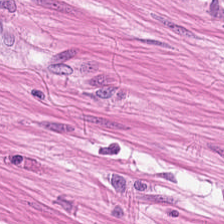Q: What does this patch show?
A: It is smooth muscle.
